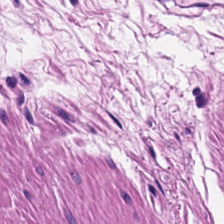H&E. This patch shows smooth muscle.
